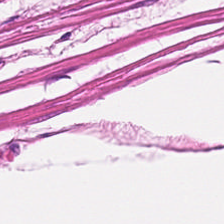0.5 µm/px; 224×224 px patch; H&E. Predominantly muscularis.
